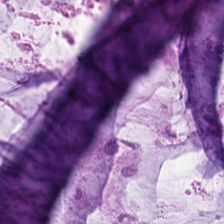Q: What is shown here?
A: The field shows extracellular mucin.
